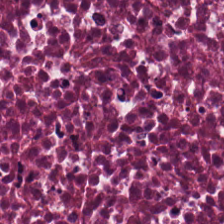0.5 µm per pixel. Hematoxylin and eosin. Brightfield — {"tissue_type": "cellular debris"}
